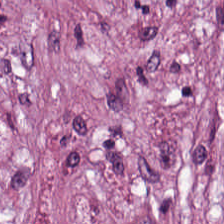224×224 px tile · hematoxylin and eosin. Tissue type — tumor-associated stroma.
